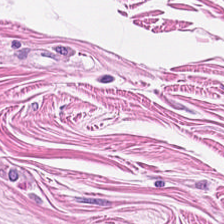224×224 pixel tile · H&E.
Showing smooth-muscle tissue.
